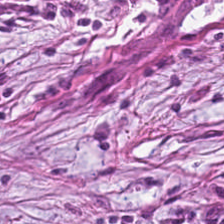H&E stain — Tumor stroma.
